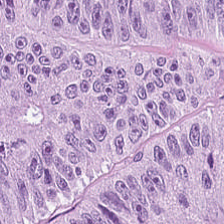The tissue type is adenocarcinoma.
